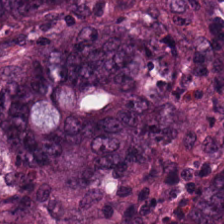H&E stain.
The predominant tissue is tumor epithelium.
